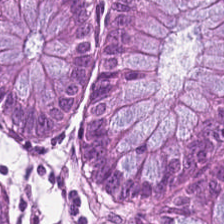Hematoxylin-and-eosin stained section · brightfield microscopy · 0.5 microns per pixel — The predominant tissue is normal colonic mucosa.
